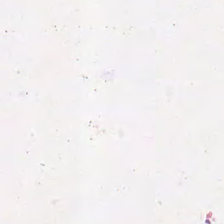Stain: hematoxylin-and-eosin stained section.
Tissue type: debris.
